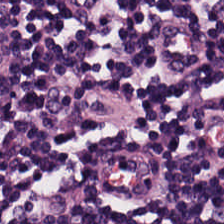Impression → lymphocytes.
